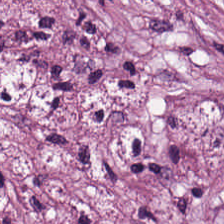H&E-stained section; the field shows tumor stroma.
